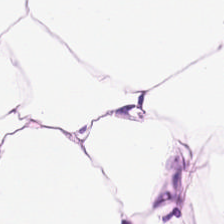{"tissue_type": "fat tissue"}
